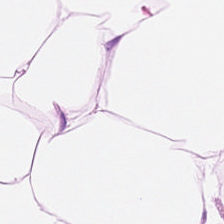H&E — Predominantly adipocytes.
